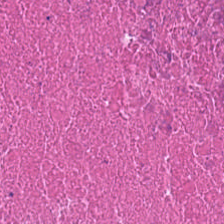0.5 µm/px · hematoxylin-and-eosin stained section · whole-slide-image patch.
Q: What tissue is shown?
A: It is cellular debris.
